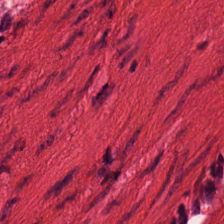Stain: H&E.
Acquisition: WSI patch.
Predominant tissue: muscularis.
